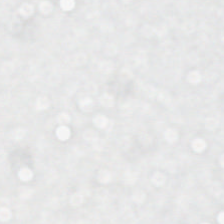Q: What is shown here?
A: This is background (no tissue).
